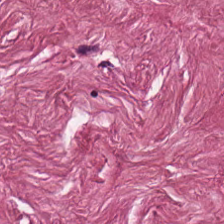WSI patch; 224×224 px patch; H&E. This patch shows cancer-associated stroma.
